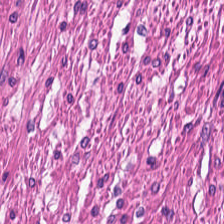H&E stain — Predominantly smooth-muscle tissue.
